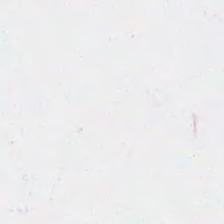H&E — This patch shows background (no tissue).
